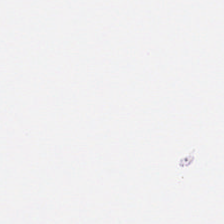Brightfield · 224×224 pixel tile · hematoxylin-and-eosin stained section — Content — no tissue.
